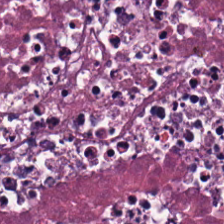Stain: H&E.
Classification: debris.
